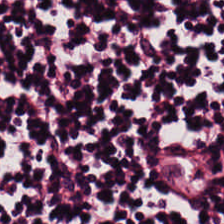FFPE · H&E stain.
The predominant tissue is lymphocytic infiltrate.
